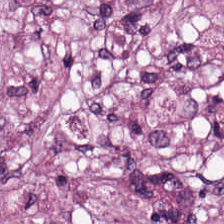Hematoxylin and eosin — Finding — desmoplastic stroma.
